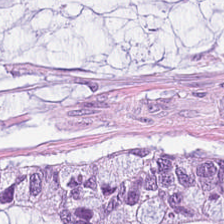H&E-stained tissue section — {"tissue_type": "extracellular mucin"}
